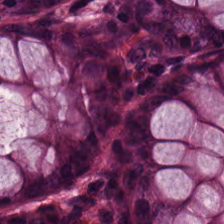Whole-slide-image patch. H&E-stained tissue section — Q: What does this patch show?
A: The field shows benign colonic mucosa.
